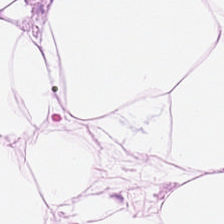Stain: hematoxylin and eosin.
Tissue type: adipose tissue.
